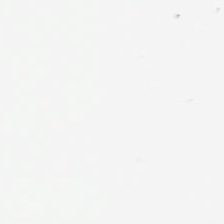Hematoxylin-and-eosin stained section; 224×224 px tile; 0.5 µm per pixel — Classification = no tissue.
